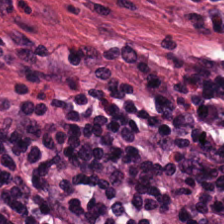Showing tumor stroma.
